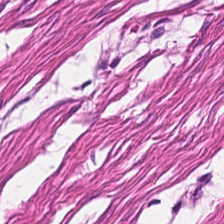224×224 pixel tile. H&E. Brightfield microscopy.
The tissue here is muscularis.
